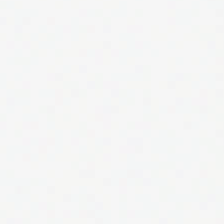Formalin-fixed paraffin-embedded section. H&E stain — This field is background (no tissue).
